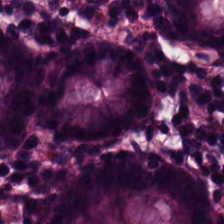H&E patch showing normal colonic mucosa.
